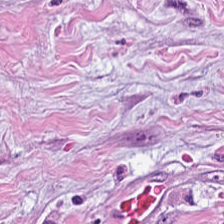Predominant tissue = cancer-associated stroma.
